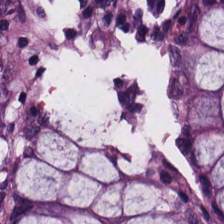FFPE tissue section; H&E-stained tissue section; 0.5 µm/px.
Classification = normal colonic mucosa.
